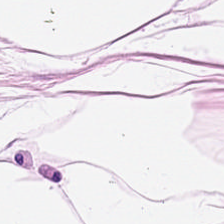Hematoxylin and eosin; WSI patch.
Q: What is shown in this field?
A: The field shows adipose.
